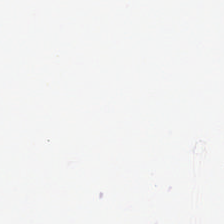H&E · 224×224 pixel tile · FFPE — {"content": "background"}
